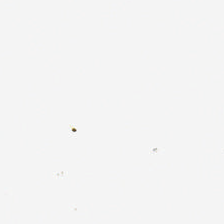This patch shows no tissue.
